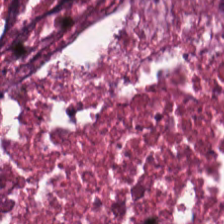Histology — cellular debris.
